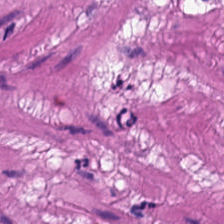0.5 µm per pixel. Hematoxylin-and-eosin stained section.
The predominant tissue is muscularis.
